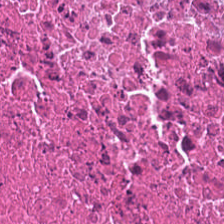0.5 µm/px. Hematoxylin-and-eosin stained section — This patch shows debris.
